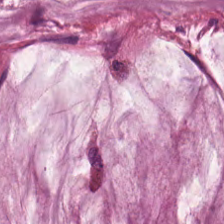Tissue class — mucin.
